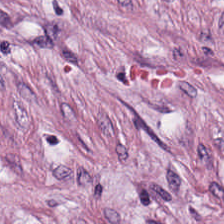H&E stain; formalin-fixed paraffin-embedded section.
The tissue here is tumor stroma.
